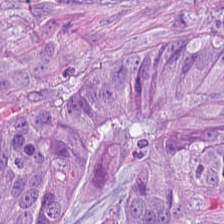Predominant tissue = tumor epithelium.
